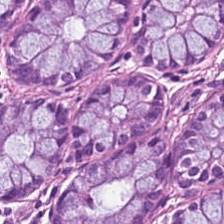Tissue = normal colon mucosa.
